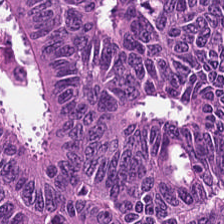FFPE. Hematoxylin and eosin. 20× equivalent magnification.
The predominant tissue is adenocarcinoma.
